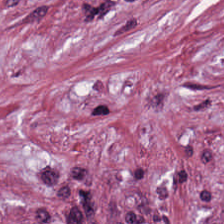Hematoxylin and eosin. Tumor stroma.
